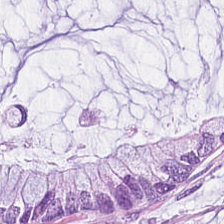H&E-stained tissue section. Predominant tissue = mucin.
